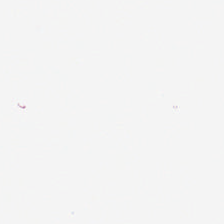Hematoxylin-and-eosin stained section · 0.5 microns per pixel · 224×224 px patch — Q: What is shown in this field?
A: This is background (no tissue).
